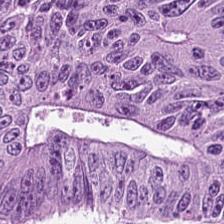The classification is tumor epithelium.
